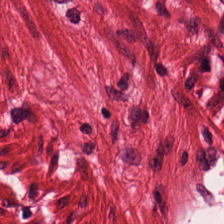224×224 px patch; H&E stain — Histology → muscularis.
